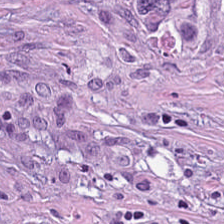FFPE tissue section; hematoxylin and eosin — Q: What tissue type is shown here?
A: Tumor-associated stroma.
